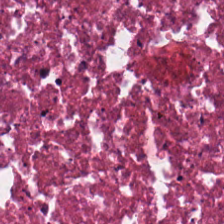Showing debris.
